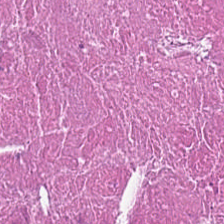Hematoxylin and eosin. The tissue is debris.
